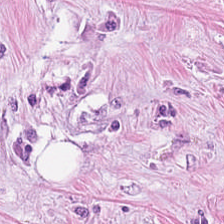H&E-stained tissue section · brightfield.
Classification: tumor-associated stroma.
